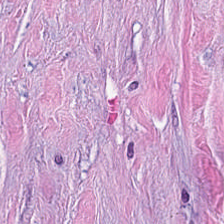This field is tumor-associated stroma.
